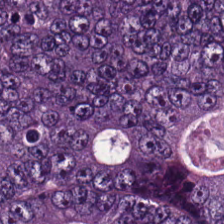Hematoxylin and eosin — Histology — colorectal adenocarcinoma epithelium.
